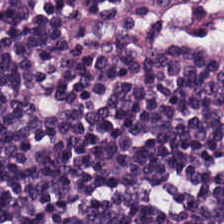Hematoxylin-and-eosin stained section. Lymphoid infiltrate.
